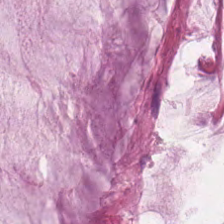Hematoxylin-and-eosin section: mucus.
